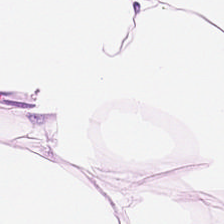H&E · formalin-fixed paraffin-embedded section — Impression — adipocytes.
